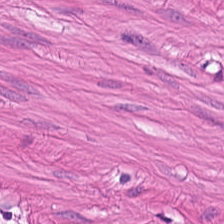H&E-stained tissue section · formalin-fixed paraffin-embedded section. Predominantly muscularis.
